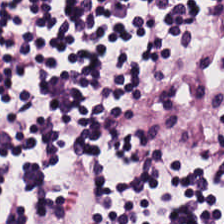This field is lymphocytic infiltrate.
